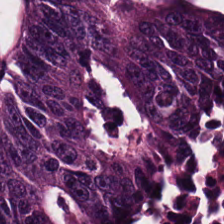Classification — tumor epithelium.
